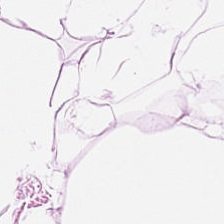Hematoxylin-and-eosin stained section · 224×224 pixel tile · formalin-fixed paraffin-embedded section.
Tissue = adipocytes.
